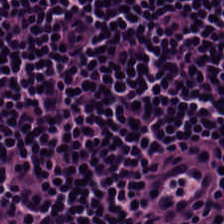H&E stain. Classification = lymphoid infiltrate.
